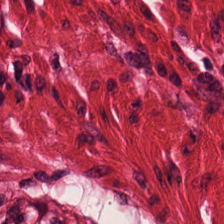Q: Classify this patch.
A: The field shows muscularis.
